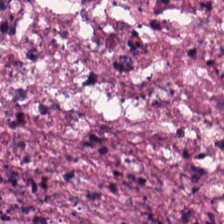Hematoxylin and eosin. FFPE tissue section.
{"tissue_type": "necrotic debris"}
